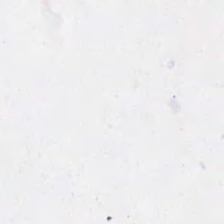Stain: hematoxylin-and-eosin stained section.
Acquisition: brightfield microscopy.
Resolution: 20× equivalent magnification.
Field content: background.
